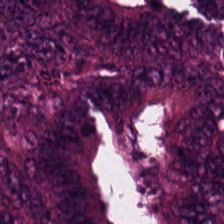Hematoxylin-and-eosin stained section.
Tissue class: colorectal adenocarcinoma epithelium.
